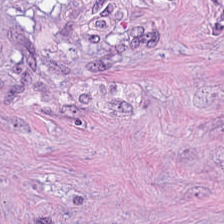Stain: H&E stain.
Tissue: tumor stroma.
